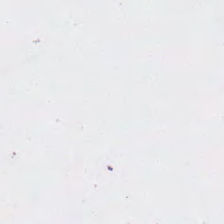H&E stain — Q: What is shown in this field?
A: This is no tissue.
